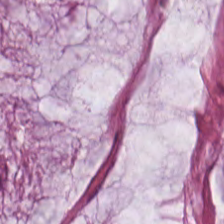Hematoxylin-and-eosin stained section; 224×224 pixel tile; FFPE. Tissue — mucus.
